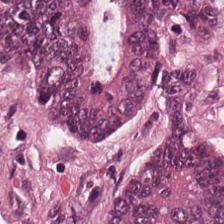H&E-stained tissue section — Q: What is the predominant tissue type?
A: Adenocarcinoma.
